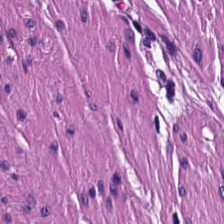Hematoxylin and eosin.
Showing smooth-muscle tissue.
